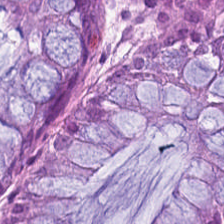H&E stain — Finding → normal colonic mucosa.
